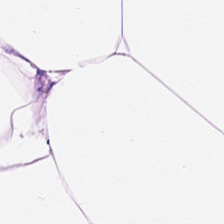H&E-stained section; the field shows adipose tissue.
